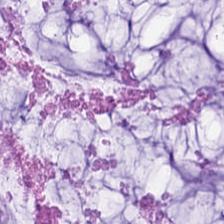Mucus.
